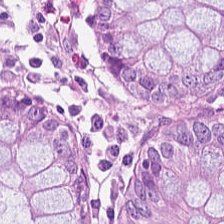H&E stain. This patch shows normal colon mucosa.
